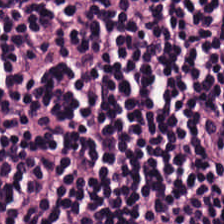WSI patch; H&E stain.
{"tissue_type": "lymphoid infiltrate"}
